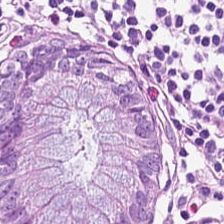The tissue here is non-neoplastic colon mucosa.
